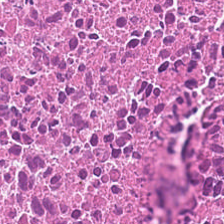0.5 µm per pixel. H&E-stained tissue section.
The tissue here is cellular debris.
